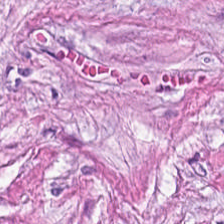FFPE tissue section · hematoxylin and eosin. The predominant tissue is cancer-associated stroma.
